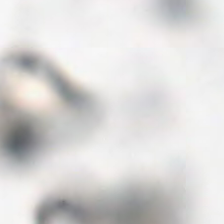Classification = no tissue.
